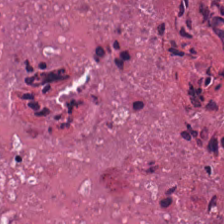Stain: hematoxylin-and-eosin stained section.
Classification: necrotic debris.
